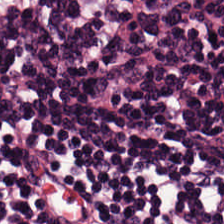224×224 pixel tile. Hematoxylin and eosin. Formalin-fixed paraffin-embedded section — {"tissue_type": "lymphocyte aggregate"}
